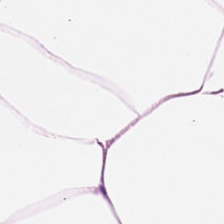Q: What tissue is shown?
A: It is adipose.
